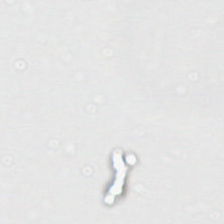H&E stain — Histology — no tissue.
